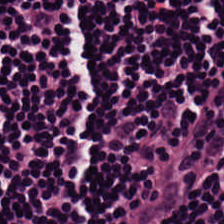Hematoxylin and eosin — Showing lymphoid infiltrate.
